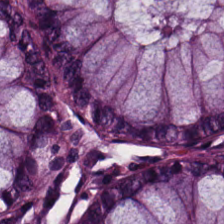224×224 px patch · hematoxylin-and-eosin stained section. Benign colonic mucosa.
